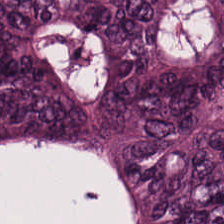0.5 microns per pixel · hematoxylin-and-eosin stained section · 224×224 pixel tile. The predominant tissue is malignant epithelium.
